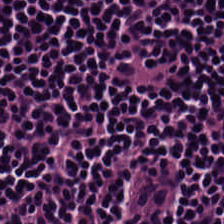FFPE. H&E stain — Tissue class — lymphocytes.
